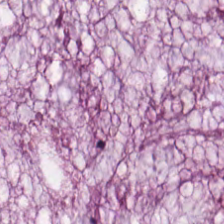224×224 pixel tile. H&E-stained tissue section — Q: What is shown here?
A: This is extracellular mucin.
